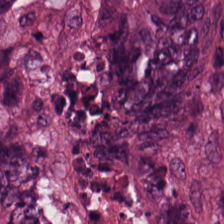H&E stain — This patch shows adenocarcinoma.
